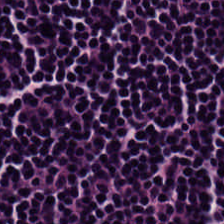Classification: lymphocytes.
